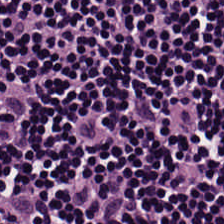224×224 px tile. H&E stain — Q: Classify this patch.
A: This is lymphocyte aggregate.
